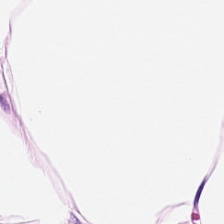Hematoxylin-and-eosin stained section.
Predominantly adipose.
